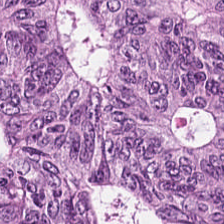H&E-stained tissue section showing tumor epithelium.
